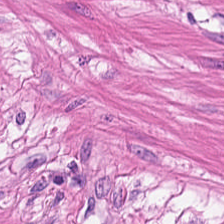Stain: H&E.
Tissue type: muscularis.
